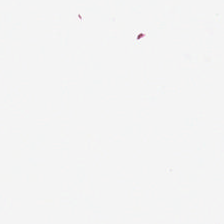H&E-stained tissue section — {"content": "background (no tissue)"}
